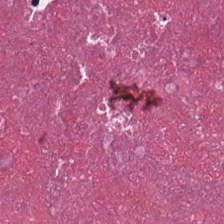224×224 px patch · FFPE tissue section · H&E stain. Impression — necrotic debris.
